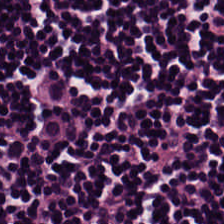Brightfield. FFPE. H&E stain — This field is lymphocytes.
